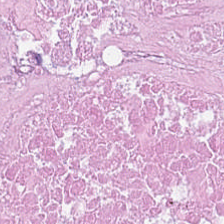Stain: H&E stain.
Acquisition: WSI patch.
Classification: necrotic debris.
